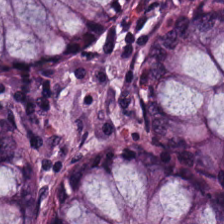20× equivalent magnification; hematoxylin and eosin. The predominant tissue is normal colon mucosa.
